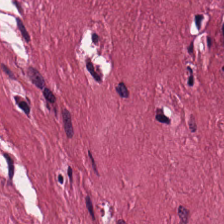H&E stain. The predominant tissue is desmoplastic stroma.
